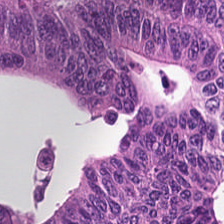Hematoxylin and eosin. {"tissue_type": "colorectal adenocarcinoma"}
